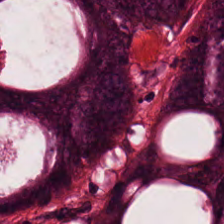Stain: H&E.
Predominant tissue: malignant epithelium.
